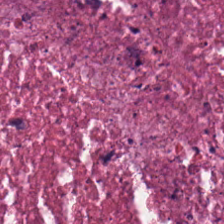Hematoxylin-and-eosin section: cellular debris.
